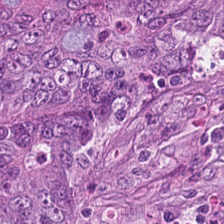H&E-stained tissue section. Tissue: colorectal adenocarcinoma epithelium.
